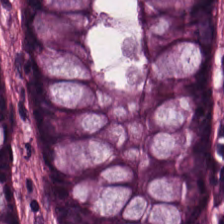H&E-stained tissue section · whole-slide-image patch · FFPE. Tissue — normal colon mucosa.
